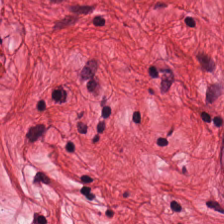FFPE tissue section. 0.5 microns per pixel. H&E stain — Q: What is shown here?
A: The field shows smooth-muscle tissue.
